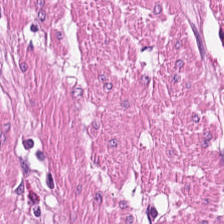H&E stain. Tissue type — smooth-muscle tissue.
